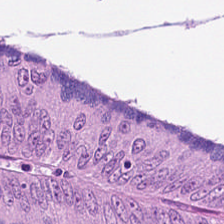This field is colorectal adenocarcinoma.
